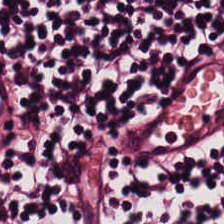H&E stain — Tissue class: lymphocytes.
